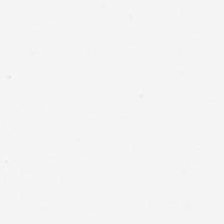H&E-stained tissue section — Background — no tissue in this field.
